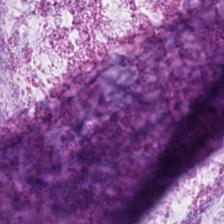H&E-stained tissue section showing extracellular mucin.
